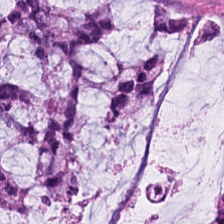H&E stain. Showing extracellular mucin.
